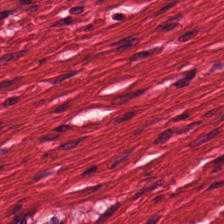Hematoxylin and eosin — Q: Identify the tissue.
A: The field shows smooth-muscle tissue.
